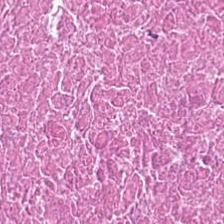FFPE tissue section. Hematoxylin and eosin. The predominant tissue is cellular debris.
